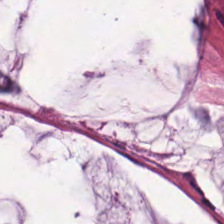H&E-stained tissue section.
Q: Identify the tissue.
A: The field shows mucin.
